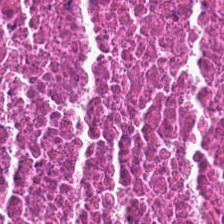Stain: H&E.
Tissue: necrotic debris.
